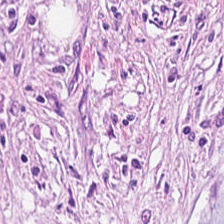H&E stain — Finding — tumor-associated stroma.
